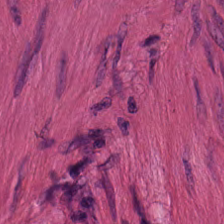Hematoxylin and eosin · WSI patch. Q: Classify this patch.
A: It is muscularis.
